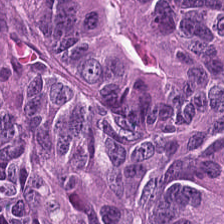Hematoxylin and eosin. The predominant tissue is malignant epithelium.
